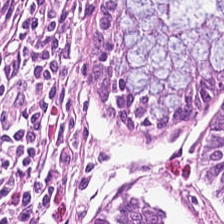H&E.
This field is normal colonic mucosa.
